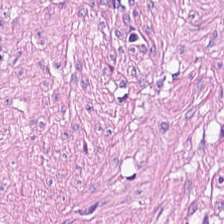H&E stain · brightfield · 224×224 px tile.
{"tissue_type": "smooth-muscle tissue"}
